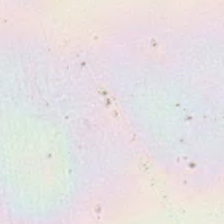WSI patch; hematoxylin and eosin; 224×224 px patch — Empty field — empty background.
